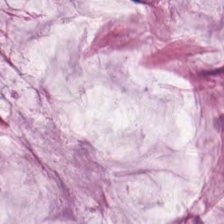Hematoxylin and eosin.
Q: What type of tissue is this?
A: This is extracellular mucin.
